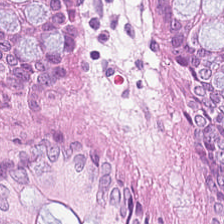H&E stain. Q: What tissue is shown?
A: Benign colonic mucosa.
